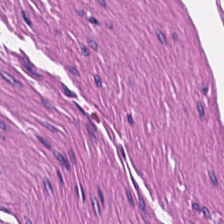Hematoxylin and eosin; FFPE tissue section. Impression — muscularis.
